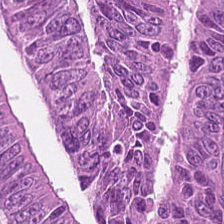Predominant tissue — malignant epithelium.
